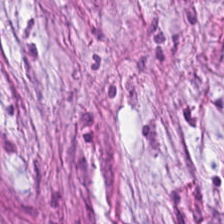Hematoxylin-and-eosin stained section.
{"tissue_type": "desmoplastic stroma"}
